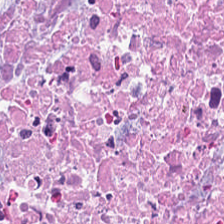Stain: H&E-stained tissue section.
Tissue type: debris.
